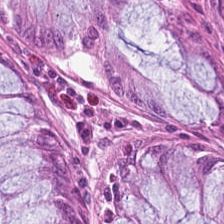Q: What is shown in this field?
A: Benign colonic mucosa.
